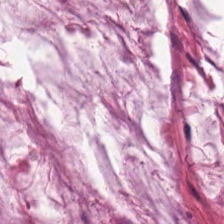0.5 µm per pixel. FFPE. H&E-stained tissue section — This patch shows mucus.
